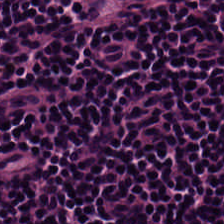Hematoxylin and eosin. Predominant tissue — lymphocytes.
